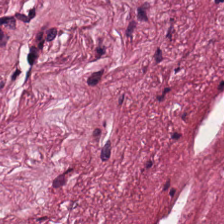Stain: hematoxylin and eosin.
Acquisition: WSI patch.
Tissue class: tumor stroma.
